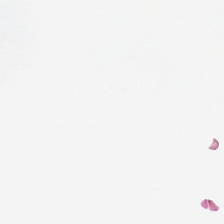This field is background (no tissue).
